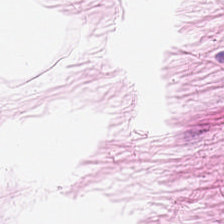Hematoxylin and eosin.
Impression → adipose.
